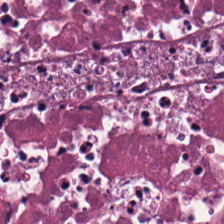H&E · 20× equivalent magnification.
Tissue class = debris.
